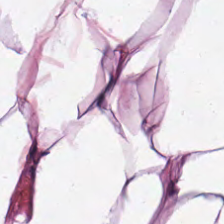H&E — Finding — adipocytes.
